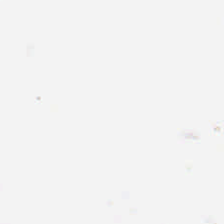Stain: H&E-stained tissue section.
Field content: no tissue.
